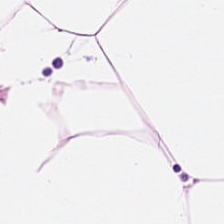Hematoxylin and eosin. Q: Identify the tissue.
A: This is fat tissue.
